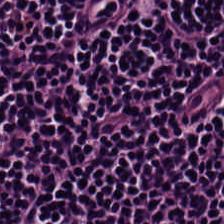Brightfield; FFPE tissue section; H&E-stained tissue section — This field is lymphocyte aggregate.
